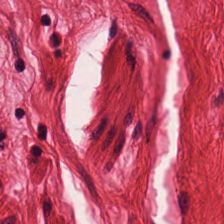0.5 µm/px · H&E.
{"tissue_type": "smooth-muscle tissue"}
